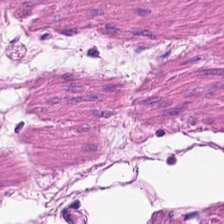H&E stain. Showing smooth-muscle tissue.
